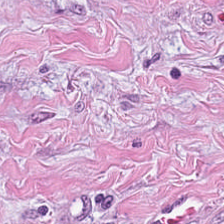0.5 µm per pixel. H&E. Q: Identify the tissue.
A: This is tumor stroma.
